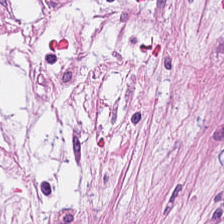Stain: H&E.
Tissue class: tumor stroma.
